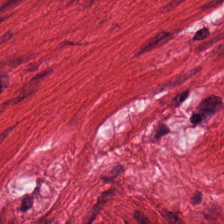This patch shows smooth-muscle tissue.
